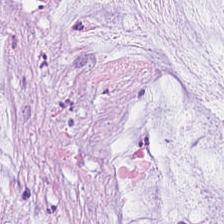H&E — Histology → mucin.
